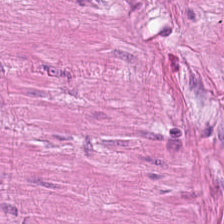Smooth-muscle tissue.
